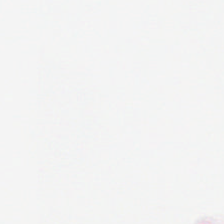0.5 microns per pixel. FFPE. H&E.
Content = empty background.
